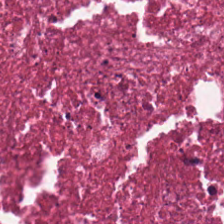Tissue — cellular debris.
